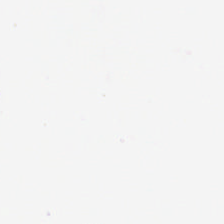H&E-stained tissue section; FFPE tissue section; brightfield microscopy. This field is background (no tissue).
